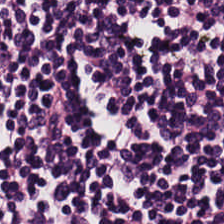H&E-stained tissue section.
Showing lymphocytes.
